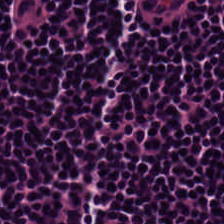Tissue: lymphocyte aggregate.
